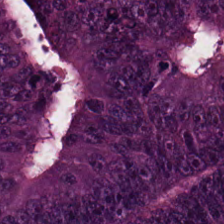H&E stain.
Adenocarcinoma.
